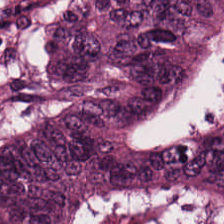Q: What type of tissue is this?
A: The field shows colorectal adenocarcinoma epithelium.
